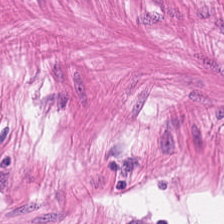The predominant tissue is smooth muscle.
